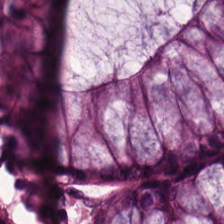Tissue class = normal colon mucosa.
